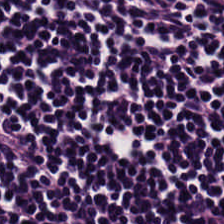H&E stain; 0.5 µm/px — The classification is lymphocytes.
